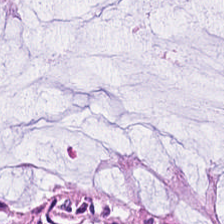H&E-stained tissue section; 224×224 pixel tile — This field is non-neoplastic colon mucosa.
